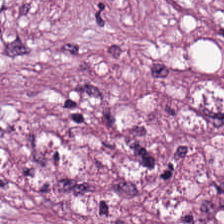Classification: cancer-associated stroma.
